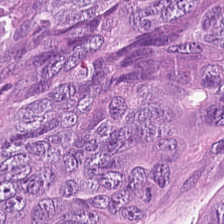Stain: H&E stain.
Resolution: 20× equivalent magnification.
Classification: malignant epithelium.
